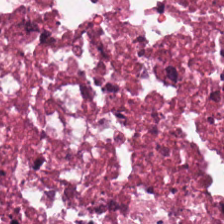H&E. WSI patch. 20× equivalent magnification.
This field is necrotic debris.
